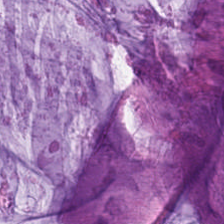H&E-stained tissue section — Tissue class = mucus.
